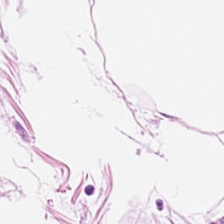H&E stain — This field is adipose.
